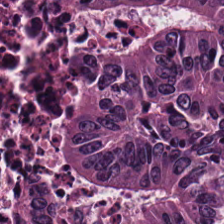Whole-slide-image patch; hematoxylin-and-eosin stained section.
Classification = colorectal adenocarcinoma.
